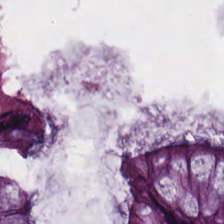Hematoxylin and eosin · 224×224 px patch. The predominant tissue is normal colon mucosa.
